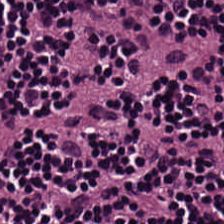FFPE tissue section. 0.5 µm/px. Hematoxylin and eosin — This field is lymphocyte aggregate.
